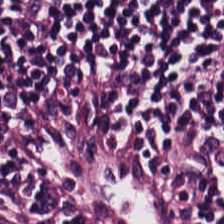Stain: hematoxylin-and-eosin stained section.
Tissue type: lymphocyte aggregate.
